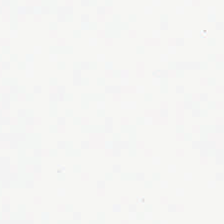H&E-stained tissue section — Background — no tissue in this field.
